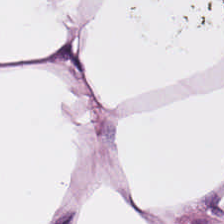H&E. Fat tissue.
